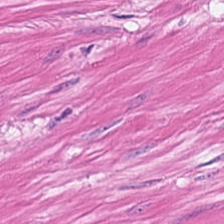Histology → smooth muscle.
